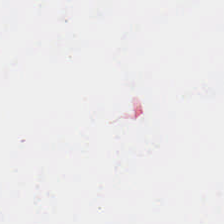Hematoxylin and eosin. Background — no tissue in this field.
